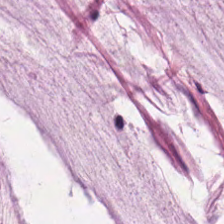Hematoxylin and eosin — Tissue class = extracellular mucin.
